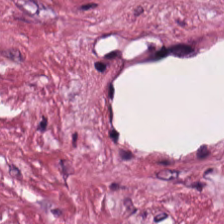Hematoxylin-and-eosin stained section. This patch shows desmoplastic stroma.
